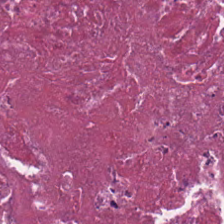Finding → debris.
